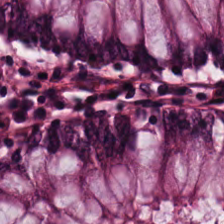Stain: hematoxylin-and-eosin stained section.
Resolution: 0.5 µm/px.
Tissue: normal colon mucosa.
